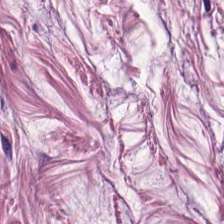FFPE. H&E stain. 0.5 µm per pixel — This patch shows smooth muscle.
